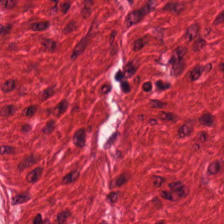H&E stain — Q: What does this patch show?
A: This is smooth-muscle tissue.
